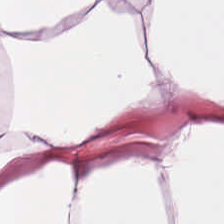H&E. This patch shows adipose tissue.
